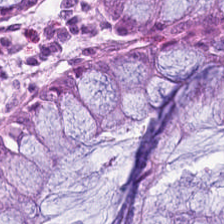Hematoxylin and eosin. WSI patch. This field is benign colonic mucosa.
